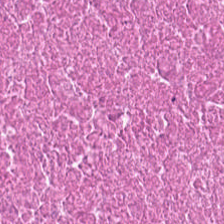Hematoxylin and eosin — The tissue class is cellular debris.
